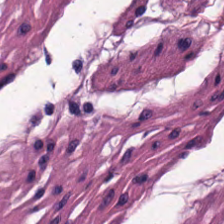224×224 px tile. Hematoxylin and eosin. Brightfield.
Predominantly smooth-muscle tissue.
